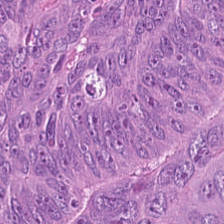Stain: H&E-stained tissue section.
Tile size: 224×224 px patch.
Predominant tissue: colorectal adenocarcinoma epithelium.
